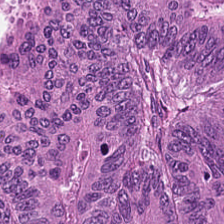Stain: H&E-stained tissue section.
Preparation: FFPE.
Tissue: colorectal adenocarcinoma.
